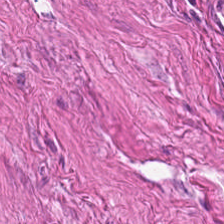0.5 µm per pixel · H&E-stained tissue section · brightfield. Histology → smooth-muscle tissue.
